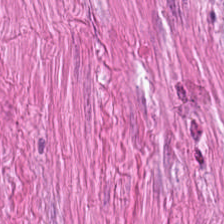H&E-stained tissue section.
Q: What is shown here?
A: It is smooth-muscle tissue.
